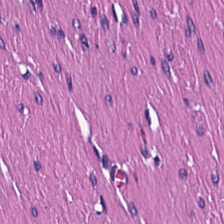Smooth muscle.
